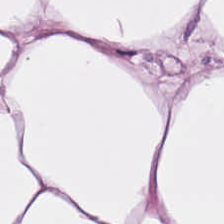Tissue type — adipocytes.
